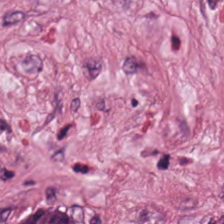H&E-stained tissue section · 224×224 px patch · 20× equivalent magnification — The tissue is desmoplastic stroma.
